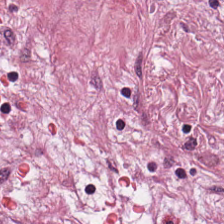Hematoxylin-and-eosin stained section.
Classification: tumor stroma.
